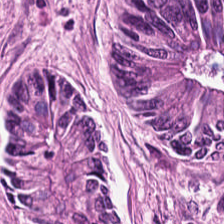Hematoxylin-and-eosin stained section.
Predominantly adenocarcinoma.
